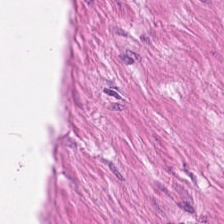Hematoxylin and eosin.
Muscularis.
